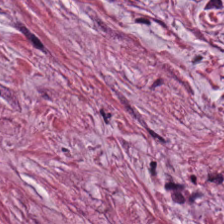H&E-stained tissue section · WSI patch — Tissue type — cancer-associated stroma.
